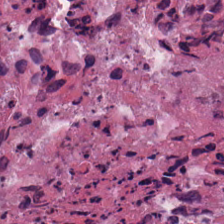H&E stain.
Q: Identify the tissue.
A: The field shows debris.
